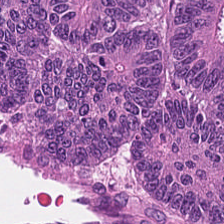FFPE. Hematoxylin and eosin — {"tissue_type": "malignant epithelium"}
